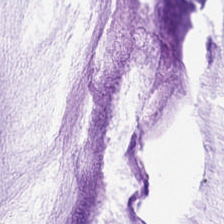Histology — extracellular mucin.
